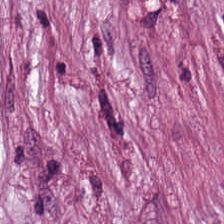H&E stain.
Impression — cancer-associated stroma.
